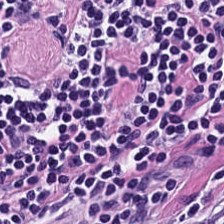H&E; FFPE. Showing lymphocyte aggregate.
